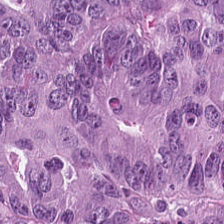Tissue: colorectal adenocarcinoma.
